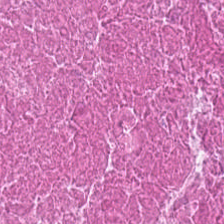H&E stain. 224×224 px patch.
Showing debris.
